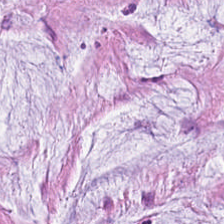H&E stain — Tissue type: mucus.
